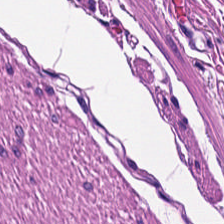Stain: hematoxylin and eosin.
Tissue type: smooth-muscle tissue.
